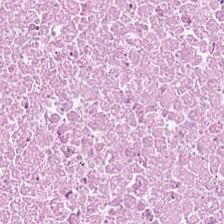H&E.
Showing necrotic debris.
